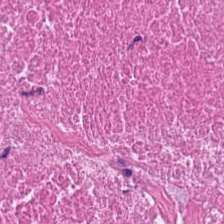H&E-stained tissue section. Tissue — debris.
